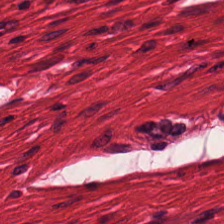H&E · 224×224 px tile · formalin-fixed paraffin-embedded section. Predominantly muscularis.
